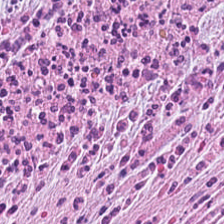Tissue class = tumor-associated stroma.
